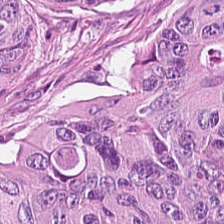Hematoxylin and eosin; FFPE tissue section. Showing adenocarcinoma.
